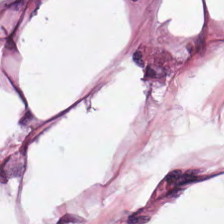H&E-stained tissue section · FFPE tissue section. The classification is adipose.
